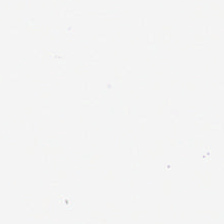0.5 µm per pixel. Hematoxylin-and-eosin stained section. Brightfield microscopy. This patch shows empty background.
